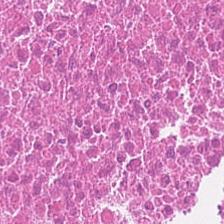Tissue: debris.
